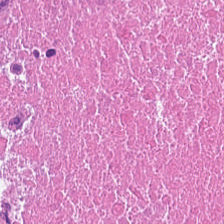The tissue type is necrotic debris.
